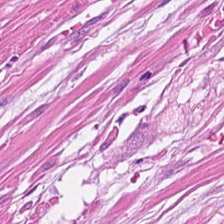224×224 px patch · formalin-fixed paraffin-embedded section · hematoxylin-and-eosin stained section — Tissue type: smooth-muscle tissue.
